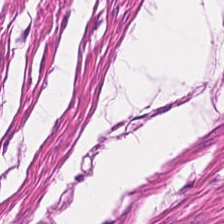Hematoxylin-and-eosin stained section — Impression — muscularis.
